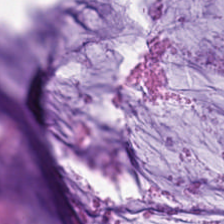0.5 µm per pixel. H&E stain.
The predominant tissue is extracellular mucin.
